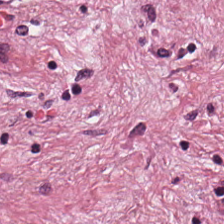Histology → cancer-associated stroma.
